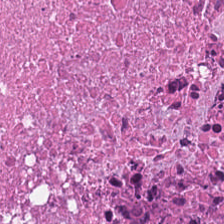Q: Classify this patch.
A: This is cellular debris.
